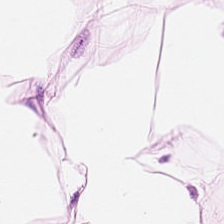H&E stain.
This patch shows adipose tissue.
